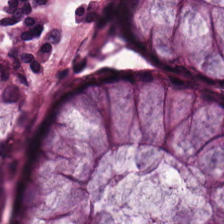Hematoxylin and eosin — Impression → normal colon mucosa.
